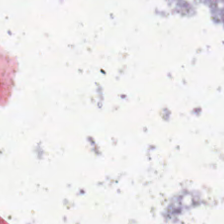Hematoxylin-and-eosin stained section.
Q: Classify this patch.
A: It is empty background.
